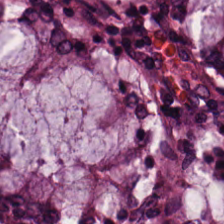Brightfield; hematoxylin and eosin — The predominant tissue is non-neoplastic colon mucosa.
